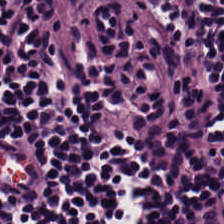H&E stain. Predominant tissue — lymphocytes.
